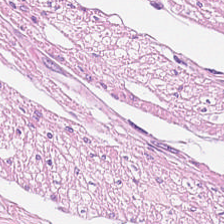{"tissue_type": "muscularis"}
